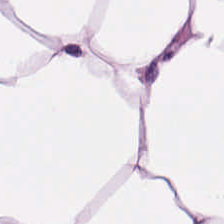Classification: adipocytes.
